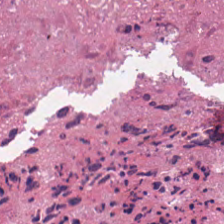Hematoxylin and eosin — Classification — debris.
